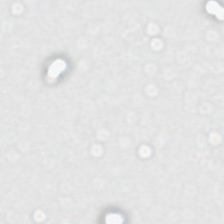Empty field — background (no tissue).
